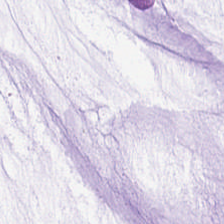224×224 px patch; H&E; brightfield microscopy — {"tissue_type": "mucus"}
